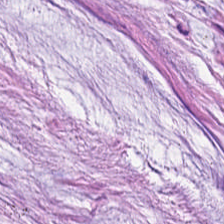0.5 microns per pixel. Hematoxylin and eosin. FFPE — Extracellular mucin.
